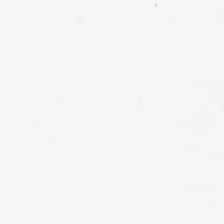Hematoxylin-and-eosin stained section. Impression — no tissue.
